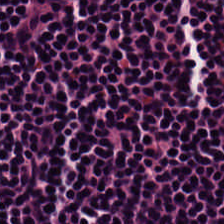Hematoxylin and eosin. The tissue class is lymphocytic infiltrate.
